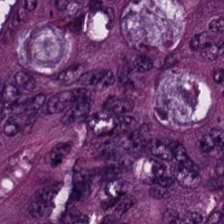Hematoxylin-and-eosin stained section. The tissue here is colorectal adenocarcinoma epithelium.
